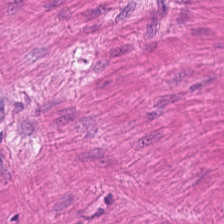{"tissue_type": "smooth-muscle tissue"}
